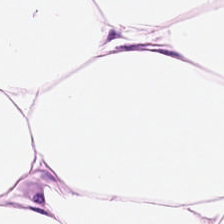Stain: H&E-stained tissue section.
Predominant tissue: fat tissue.
